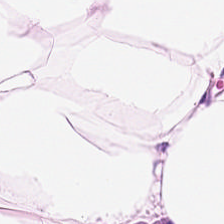224×224 px patch. Hematoxylin-and-eosin stained section. 0.5 µm per pixel — This field is adipose.
